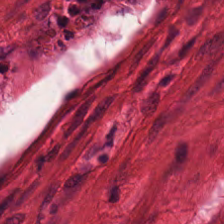H&E · FFPE · brightfield microscopy. Tissue — smooth-muscle tissue.
